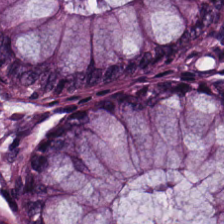Hematoxylin-and-eosin stained section · 0.5 µm per pixel.
This patch shows benign colonic mucosa.
